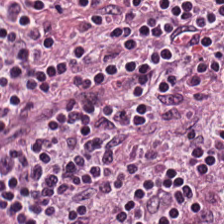H&E.
Showing lymphocytes.
